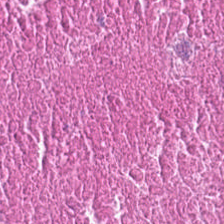Q: What is shown here?
A: This is debris.
